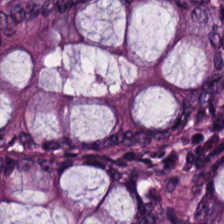H&E-stained tissue section — Normal colon mucosa.
